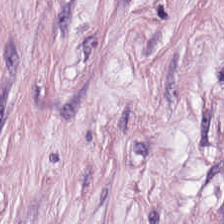FFPE tissue section. H&E — Classification: tumor-associated stroma.
